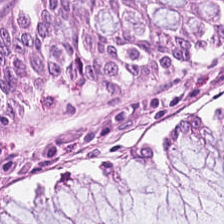H&E stain. Q: What is the predominant tissue type?
A: The field shows non-neoplastic colon mucosa.
